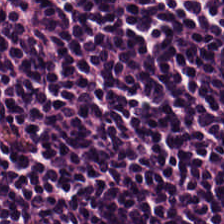Stain: H&E.
Tile size: 224×224 px tile.
Acquisition: WSI patch.
Predominant tissue: lymphoid infiltrate.
